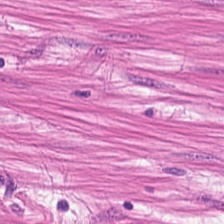Hematoxylin-and-eosin stained section · whole-slide-image patch — Q: What is the predominant tissue type?
A: The field shows smooth-muscle tissue.
